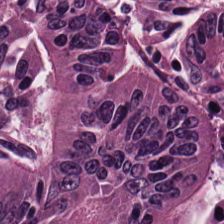{"tissue_type": "malignant epithelium"}
